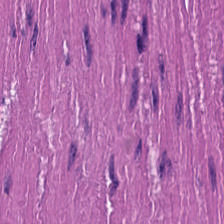Stain: hematoxylin and eosin.
Tissue class: smooth-muscle tissue.
